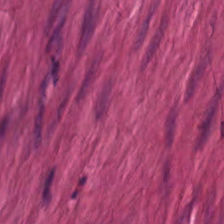0.5 µm per pixel; formalin-fixed paraffin-embedded section; hematoxylin and eosin.
Q: What does this patch show?
A: It is smooth muscle.
